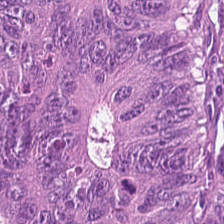Stain: H&E stain.
Preparation: FFPE tissue section.
Acquisition: brightfield microscopy.
Predominant tissue: colorectal adenocarcinoma.
